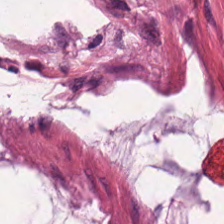Hematoxylin-and-eosin stained section · brightfield microscopy.
Impression → extracellular mucin.
